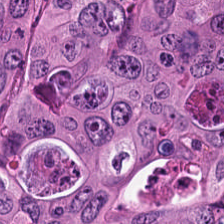Hematoxylin-and-eosin stained section. FFPE tissue section — {"tissue_type": "tumor epithelium"}
